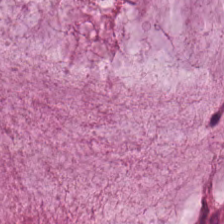Tissue — mucus.
